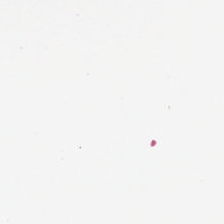FFPE tissue section · H&E-stained tissue section. Q: What is shown here?
A: It is background.
